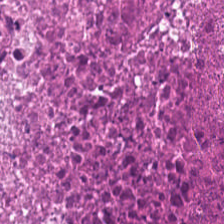H&E stain.
The classification is cellular debris.
